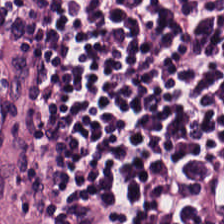Tissue = lymphocytic infiltrate.
